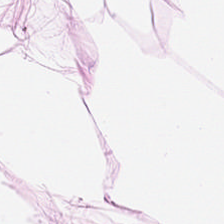Histology — adipose tissue.
